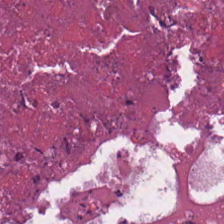The predominant tissue is cellular debris.
